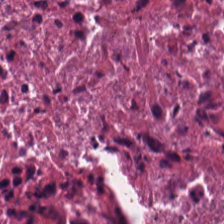Showing necrotic debris.
